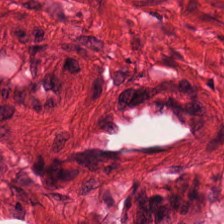Hematoxylin and eosin. The tissue is smooth muscle.
